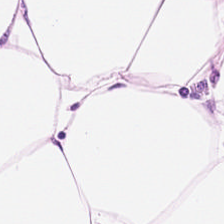Brightfield. H&E-stained tissue section.
Q: What is shown in this field?
A: The field shows adipose.
